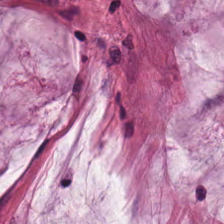Tissue class = mucus.
